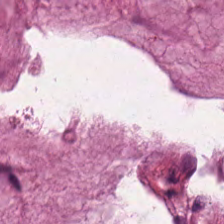Tissue class = mucus.
